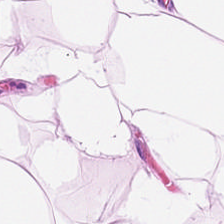Stain: H&E-stained tissue section.
Acquisition: whole-slide-image patch.
Predominant tissue: adipose.
